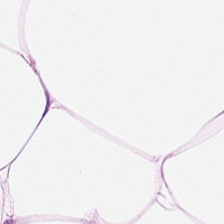Stain: H&E-stained tissue section.
Tissue type: fat tissue.
